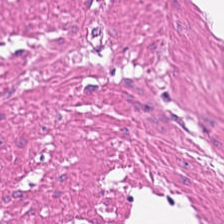Hematoxylin and eosin.
Tissue: muscularis.
